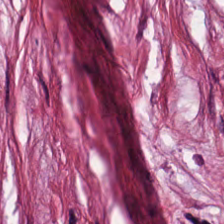Stain: hematoxylin-and-eosin stained section.
Classification: cancer-associated stroma.
